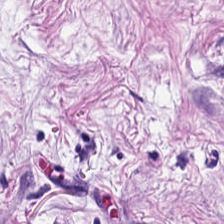0.5 µm/px; H&E stain. The predominant tissue is tumor stroma.
